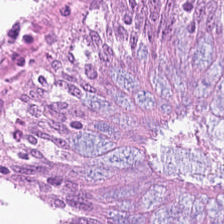H&E-stained tissue section; 0.5 µm/px — Q: What is shown in this field?
A: It is normal colonic mucosa.
